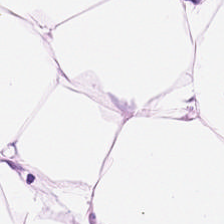H&E; 0.5 µm/px.
Tissue class: adipocytes.
